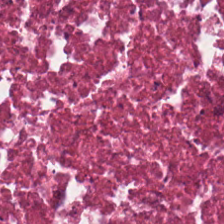Hematoxylin-and-eosin stained section.
Tissue class = cellular debris.
